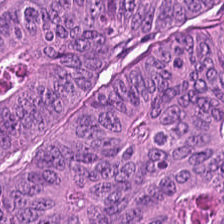H&E-stained tissue section. 224×224 pixel tile.
Q: Identify the tissue.
A: It is adenocarcinoma.
